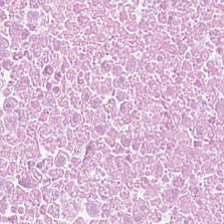H&E-stained tissue section; 224×224 px tile; 20× equivalent magnification — Q: What tissue is shown?
A: Necrotic debris.
